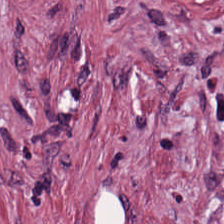H&E — tumor-associated stroma.
